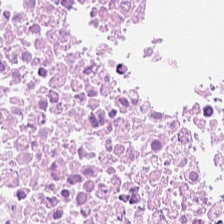This patch shows cellular debris.
